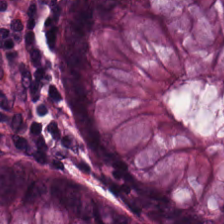Hematoxylin-and-eosin stained section — Classification = normal colon mucosa.
